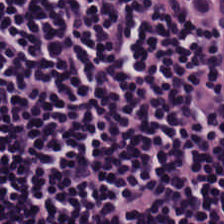Formalin-fixed paraffin-embedded section; H&E stain — Tissue type — lymphocyte aggregate.
